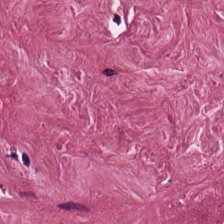H&E-stained tissue section. 224×224 px patch. Tissue type: tumor-associated stroma.
